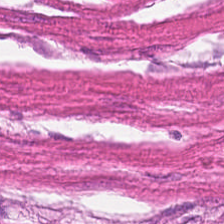Predominant tissue = smooth muscle.
